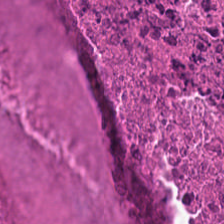H&E stain — Histology — cellular debris.
